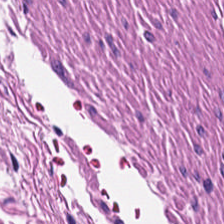H&E; FFPE. Showing smooth muscle.
